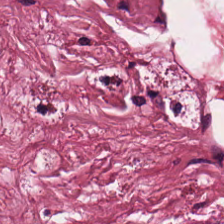Q: What tissue type is shown here?
A: This is cancer-associated stroma.
